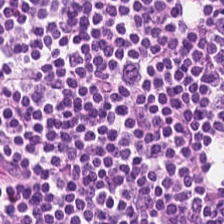Q: Classify this patch.
A: The field shows lymphocytic infiltrate.
